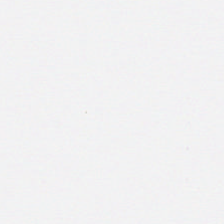H&E-stained tissue section. {"content": "no tissue"}
